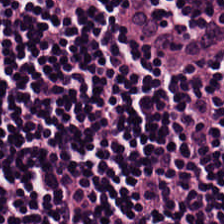H&E-stained tissue section showing lymphocytic infiltrate.
